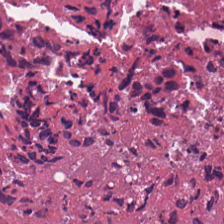H&E — Tissue = cellular debris.
